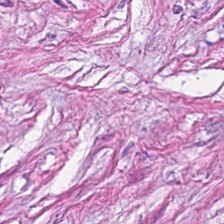0.5 µm per pixel; H&E-stained tissue section — This patch shows desmoplastic stroma.
